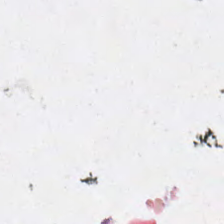No tissue present; background only.
